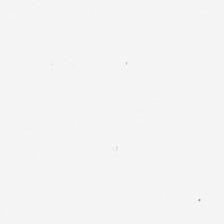H&E stain. Q: Classify this patch.
A: It is background (no tissue).
